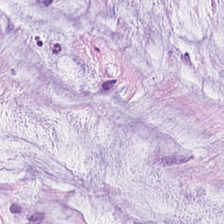H&E-stained tissue section — This patch shows mucus.
